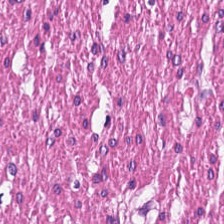Hematoxylin and eosin.
Muscularis.
